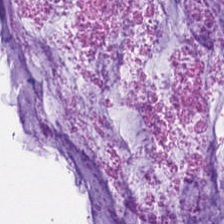H&E stain · 224×224 px patch · FFPE. The predominant tissue is extracellular mucin.
